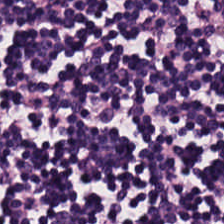Histology — lymphocyte aggregate.
